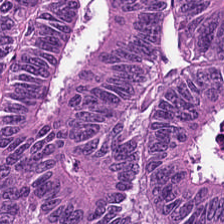Showing colorectal adenocarcinoma.
